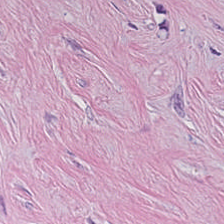H&E stain. Tissue class — desmoplastic stroma.
